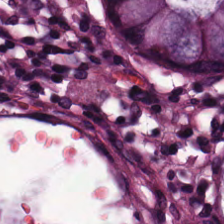H&E stain.
Tissue: normal colon mucosa.
